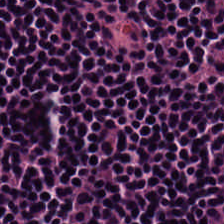Hematoxylin-and-eosin stained section.
Classification: lymphocyte aggregate.
